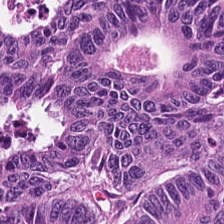The predominant tissue is malignant epithelium.
